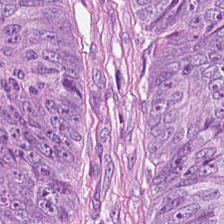FFPE tissue section; hematoxylin-and-eosin stained section; WSI patch. Impression — tumor epithelium.
